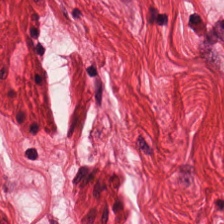Predominantly smooth-muscle tissue.
